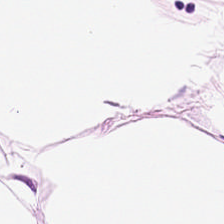Stain: hematoxylin-and-eosin stained section.
Predominant tissue: adipose tissue.
